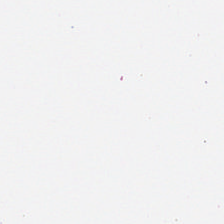WSI patch · H&E. No tissue present; background only.
